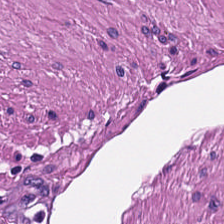H&E stain — Q: Classify this patch.
A: The field shows smooth muscle.
